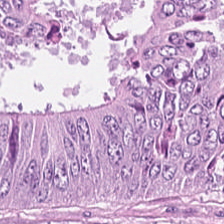The tissue type is malignant epithelium.
